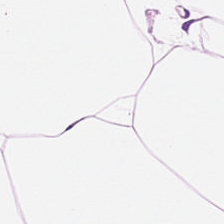H&E stain. Brightfield.
Impression → fat tissue.
